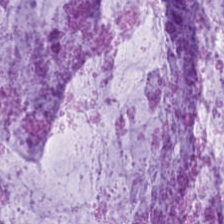Stain: H&E-stained tissue section.
Resolution: 0.5 µm/px.
Predominant tissue: mucus.
